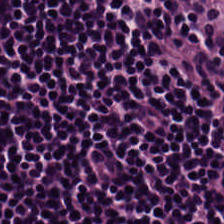224×224 pixel tile · H&E-stained tissue section — {"tissue_type": "lymphocytes"}
